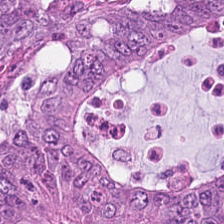Q: Classify this patch.
A: The field shows colorectal adenocarcinoma epithelium.
